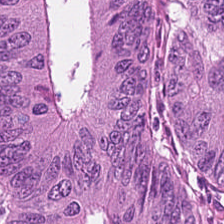Tissue type — malignant epithelium.
